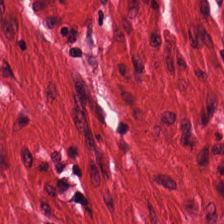Stain: hematoxylin-and-eosin stained section.
Tissue: muscularis.
